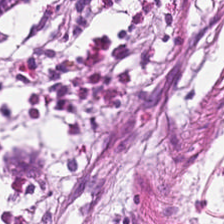{"tissue_type": "benign colonic mucosa"}
